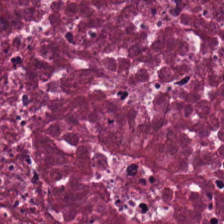H&E — Impression — debris.
